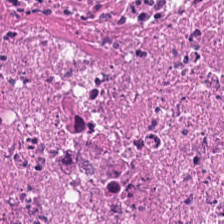224×224 pixel tile · H&E stain. Predominantly debris.
